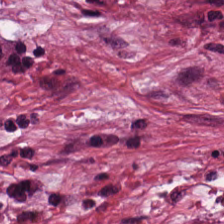Showing tumor-associated stroma.
